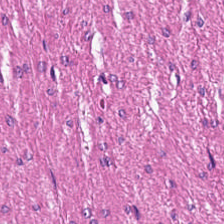Stain: hematoxylin and eosin.
Acquisition: brightfield.
Predominant tissue: muscularis.
